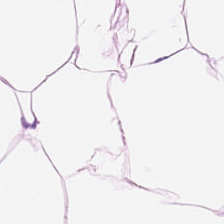Hematoxylin and eosin.
Predominant tissue = fat tissue.
